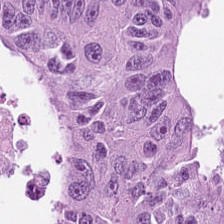The predominant tissue is colorectal adenocarcinoma.
